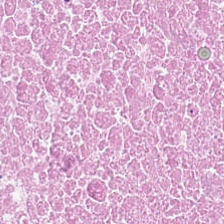Stain: H&E.
Predominant tissue: cellular debris.
